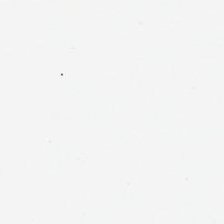Content: background.
